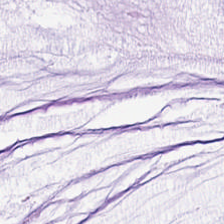H&E stain. Q: What is shown in this field?
A: The field shows mucin.
